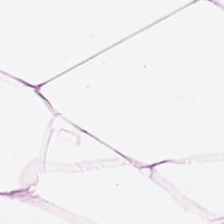H&E · WSI patch · FFPE tissue section — Adipose tissue.
